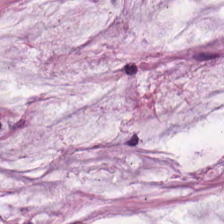Finding → mucus.
